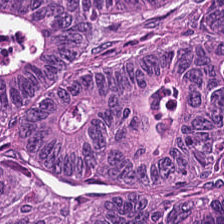H&E stain · 0.5 µm per pixel. Q: Identify the tissue.
A: Colorectal adenocarcinoma epithelium.
